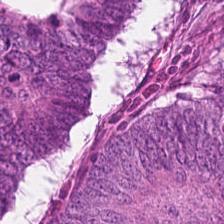224×224 pixel tile · hematoxylin-and-eosin stained section.
{"tissue_type": "colorectal adenocarcinoma"}
